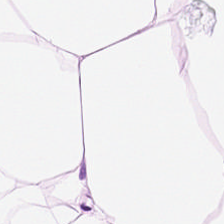H&E-stained tissue section. 224×224 px patch. FFPE tissue section. Classification — adipose tissue.
